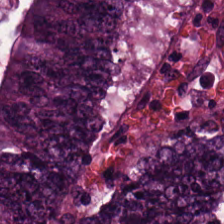Hematoxylin and eosin; 224×224 px tile.
Finding — tumor epithelium.
